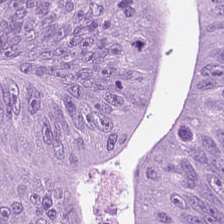H&E. FFPE tissue section. Finding → colorectal adenocarcinoma.
